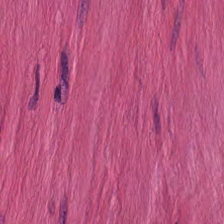H&E-stained tissue section — The predominant tissue is smooth muscle.
